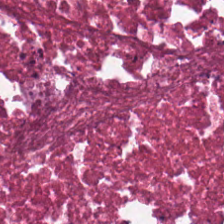20× equivalent magnification. Hematoxylin-and-eosin stained section. 224×224 px patch.
Q: What is the predominant tissue type?
A: It is debris.
